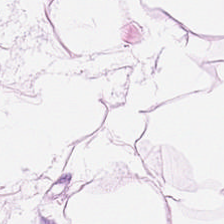Tissue class = adipose.
